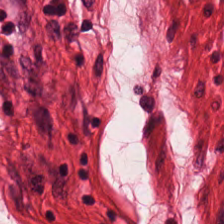H&E — smooth-muscle tissue.
